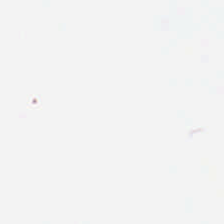Empty field — background (no tissue).
